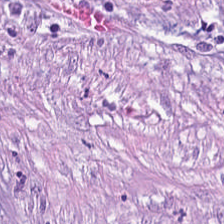Hematoxylin and eosin. Whole-slide-image patch — The tissue here is cancer-associated stroma.
